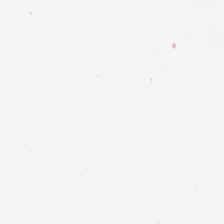Hematoxylin-and-eosin stained section. The content is background.
